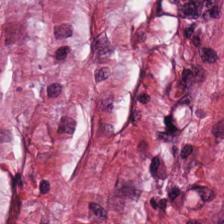H&E stain. Predominantly cancer-associated stroma.
